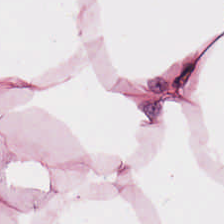Q: What is shown here?
A: The field shows adipose tissue.
